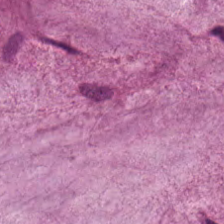Hematoxylin-and-eosin stained section.
The tissue here is extracellular mucin.
